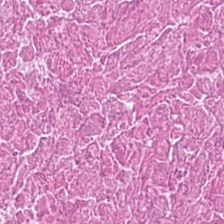224×224 px tile · formalin-fixed paraffin-embedded section · H&E. Q: What tissue type is shown here?
A: Cellular debris.
